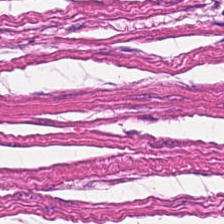H&E; WSI patch.
Tissue type = smooth muscle.
